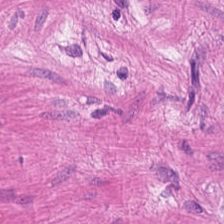Whole-slide-image patch. H&E stain — The predominant tissue is smooth muscle.
